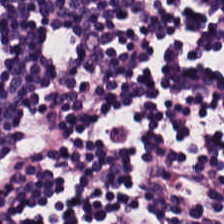0.5 µm per pixel. H&E stain. Q: What is shown in this field?
A: It is lymphocyte aggregate.
